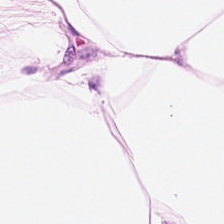H&E-stained tissue section. FFPE tissue section — This patch shows fat tissue.
